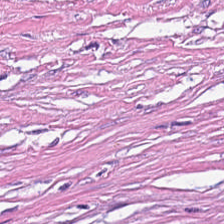Formalin-fixed paraffin-embedded section; hematoxylin and eosin. Finding → tumor-associated stroma.
